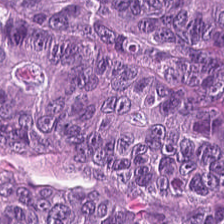H&E-stained tissue section · 0.5 µm/px · WSI patch.
Predominantly colorectal adenocarcinoma.
